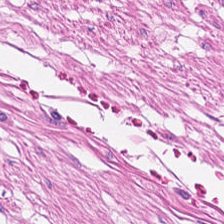Whole-slide-image patch · hematoxylin-and-eosin stained section — Tissue class: smooth-muscle tissue.
